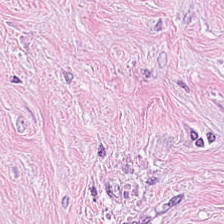FFPE; hematoxylin and eosin; 224×224 px patch — The tissue here is tumor stroma.
